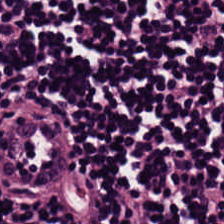H&E-stained tissue section. The tissue type is lymphocytes.
